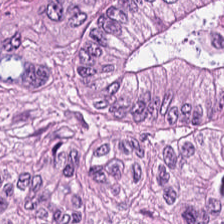The predominant tissue is adenocarcinoma.
